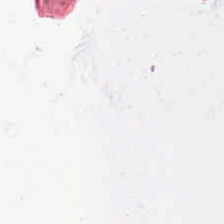Stain: H&E-stained tissue section.
Acquisition: brightfield.
Preparation: formalin-fixed paraffin-embedded section.
Field content: background (no tissue).
